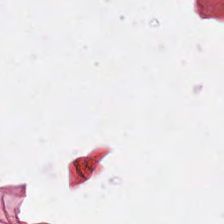Whole-slide-image patch; hematoxylin-and-eosin stained section.
Content = background (no tissue).
